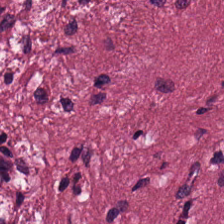224×224 px tile. Hematoxylin-and-eosin stained section. The tissue is tumor-associated stroma.
